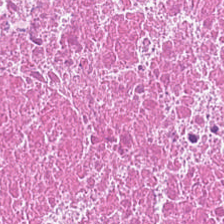Showing debris.
